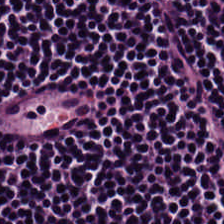0.5 microns per pixel · hematoxylin-and-eosin stained section · formalin-fixed paraffin-embedded section — This field is lymphocytic infiltrate.
